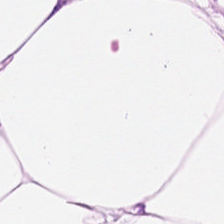Predominant tissue — adipose.
